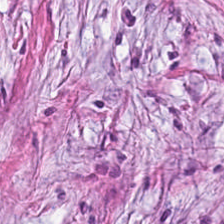H&E-stained tissue section. This field is cancer-associated stroma.
